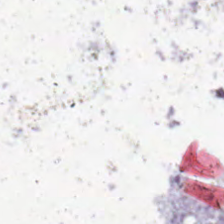{"content": "background"}
